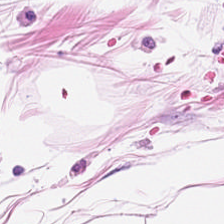H&E · 0.5 µm per pixel. Tissue: adipose tissue.
